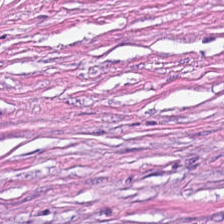Hematoxylin-and-eosin stained section. Q: What is shown here?
A: Tumor-associated stroma.
